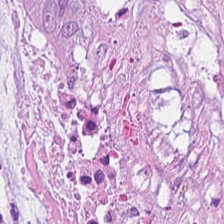H&E-stained tissue section — Tissue — extracellular mucin.
